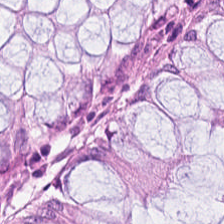H&E patch showing normal colon mucosa.
